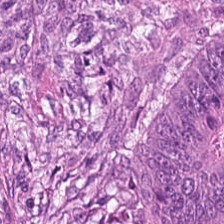Predominant tissue — colorectal adenocarcinoma.
